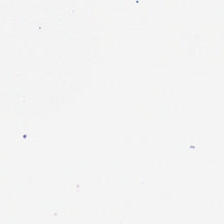Stain: hematoxylin and eosin.
Preparation: formalin-fixed paraffin-embedded section.
Acquisition: brightfield.
Content: background.
